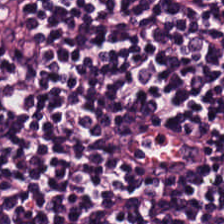Q: Classify this patch.
A: It is lymphoid infiltrate.
